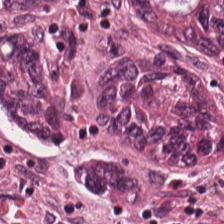Hematoxylin-and-eosin stained section. This patch shows colorectal adenocarcinoma.
